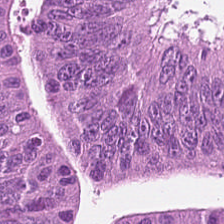Hematoxylin and eosin · 224×224 px patch · FFPE — Tissue type — colorectal adenocarcinoma epithelium.
